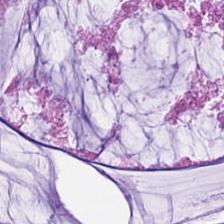Hematoxylin-and-eosin stained section — Q: What type of tissue is this?
A: The field shows mucin.
